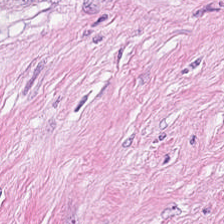Hematoxylin-and-eosin section: tumor-associated stroma.
